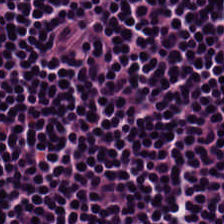Formalin-fixed paraffin-embedded section · hematoxylin and eosin · 224×224 pixel tile — This field is lymphocytes.
